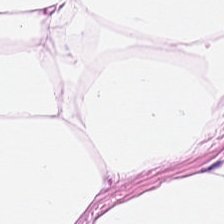0.5 µm per pixel · H&E-stained tissue section. Predominantly adipose tissue.
